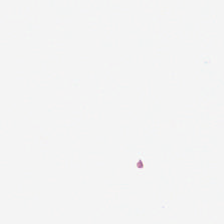Stain: H&E-stained tissue section.
Acquisition: WSI patch.
Content: no tissue.
